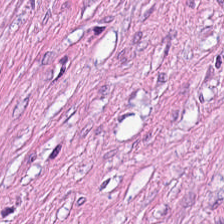0.5 µm per pixel; WSI patch; hematoxylin-and-eosin stained section.
The tissue here is tumor-associated stroma.
